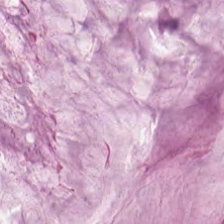The tissue is mucus.
